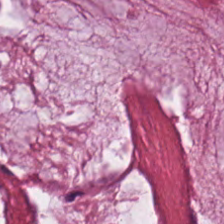Hematoxylin-and-eosin stained section. Showing mucin.
